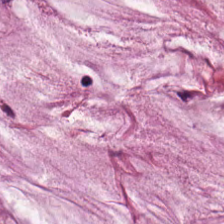20× equivalent magnification; H&E.
Q: What is shown in this field?
A: Extracellular mucin.
